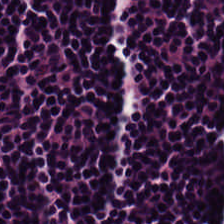Hematoxylin-and-eosin stained section · whole-slide-image patch.
Q: What type of tissue is this?
A: The field shows lymphocytic infiltrate.
